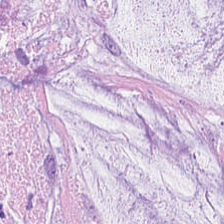FFPE tissue section. H&E — Impression → extracellular mucin.
